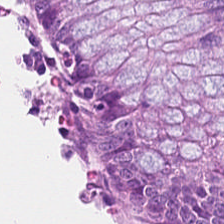H&E-stained section; the field shows normal colon mucosa.
